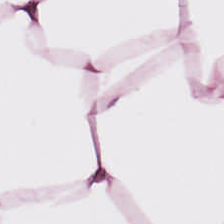H&E. 20× equivalent magnification.
Predominantly fat tissue.
